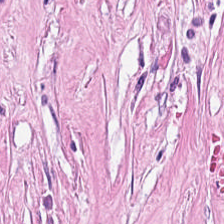Classification — tumor stroma.
